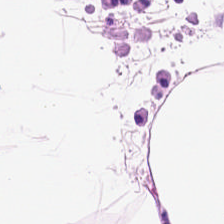Hematoxylin and eosin · brightfield microscopy — Tissue class: adipocytes.
